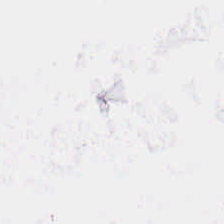Impression → background.
